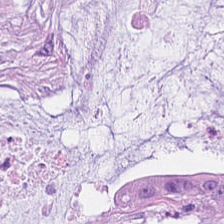224×224 px tile · H&E stain — The predominant tissue is extracellular mucin.
